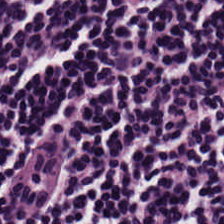Stain: H&E-stained tissue section.
Resolution: 20× equivalent magnification.
Acquisition: brightfield.
Predominant tissue: lymphoid infiltrate.
